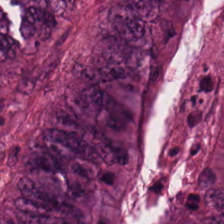FFPE · H&E stain. Q: What tissue is shown?
A: Mucus.
